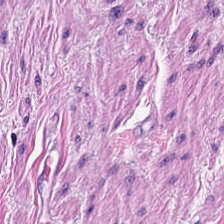Hematoxylin and eosin.
Tissue type — smooth muscle.
